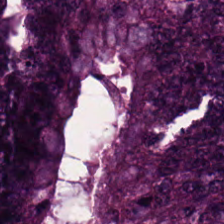Impression → adenocarcinoma.
